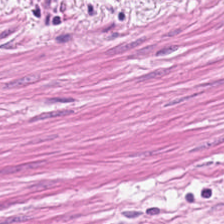0.5 µm/px · H&E — The predominant tissue is muscularis.
